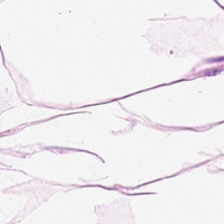Brightfield. H&E-stained tissue section.
Classification — adipocytes.
